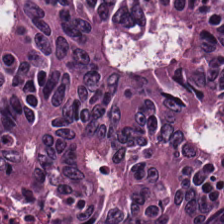Q: What is the predominant tissue type?
A: This is malignant epithelium.
